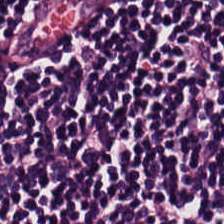H&E-stained tissue section. The tissue here is lymphocytes.
